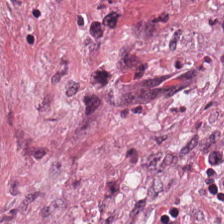Hematoxylin and eosin — Q: What does this patch show?
A: The field shows cancer-associated stroma.
